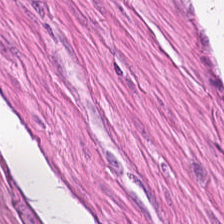{"tissue_type": "muscularis"}
